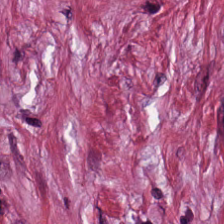Q: What type of tissue is this?
A: It is cancer-associated stroma.
